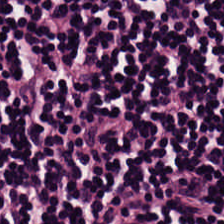224×224 px tile. 0.5 µm per pixel. H&E-stained tissue section.
Tissue class = lymphocytic infiltrate.
